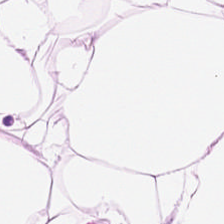Hematoxylin and eosin. 224×224 pixel tile.
Finding — adipose tissue.
